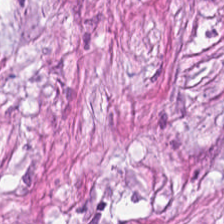Q: What tissue is shown?
A: This is desmoplastic stroma.
